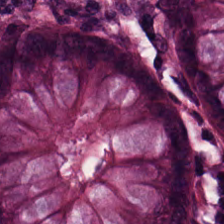H&E.
The tissue here is benign colonic mucosa.
